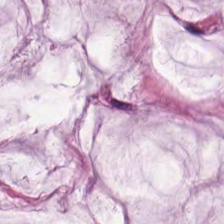H&E-stained tissue section.
The predominant tissue is mucus.
